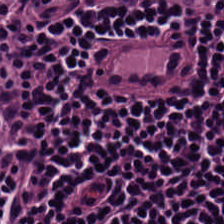Tissue class — lymphoid infiltrate.
